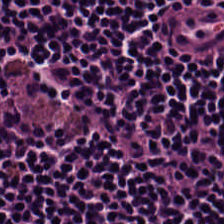Stain: hematoxylin and eosin.
Classification: lymphocytes.
